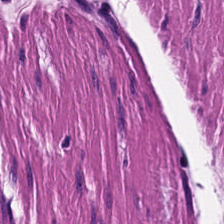H&E · brightfield microscopy. Q: Identify the tissue.
A: This is muscularis.
